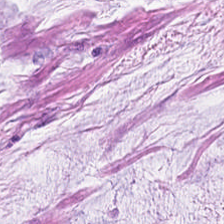Stain: H&E stain.
Predominant tissue: extracellular mucin.
